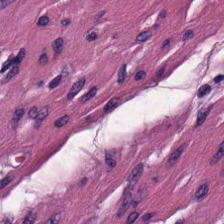Classification — smooth muscle.
